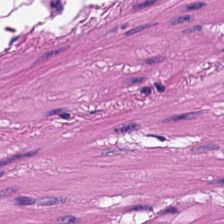H&E stain · brightfield. Tissue class: smooth muscle.
